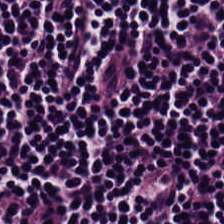H&E-stained tissue section · WSI patch. {"tissue_type": "lymphocytic infiltrate"}
